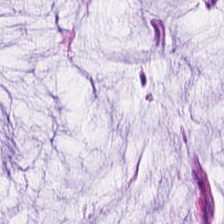Mucin.
